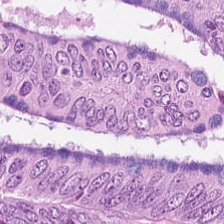The classification is adenocarcinoma.
